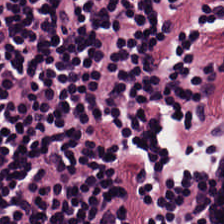H&E — lymphocytes.
